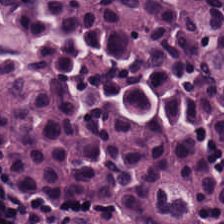H&E stain.
Tissue type: lymphocyte aggregate.
